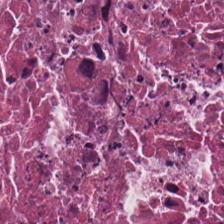Hematoxylin and eosin. This field is necrotic debris.
